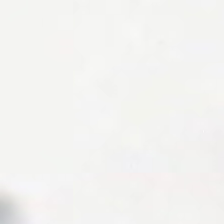Whole-slide-image patch. H&E-stained tissue section. 224×224 px patch. Histology — background (no tissue).
